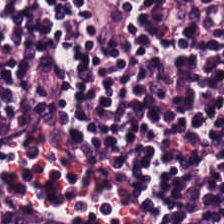H&E-stained tissue section.
This field is lymphocytic infiltrate.
